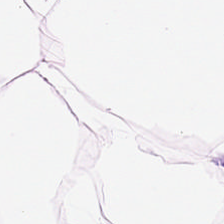Hematoxylin-and-eosin stained section. {"tissue_type": "adipocytes"}
